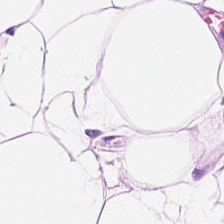The tissue class is adipose.
